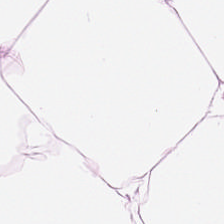Tissue = fat tissue.
